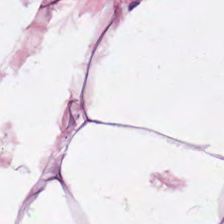Predominant tissue = adipocytes.
